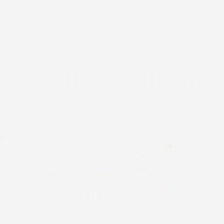Classification: background.
